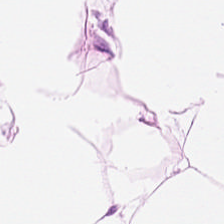Hematoxylin and eosin — Impression → adipose tissue.
